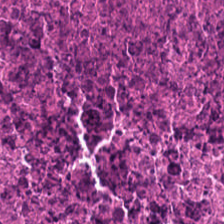H&E-stained tissue section. Q: Identify the tissue.
A: It is necrotic debris.
